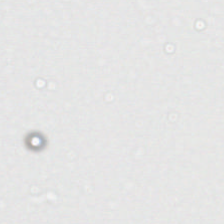Field content — empty background.
